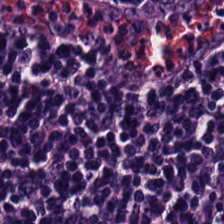H&E stain. The tissue here is lymphocyte aggregate.
